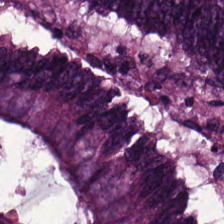Impression — tumor epithelium.
